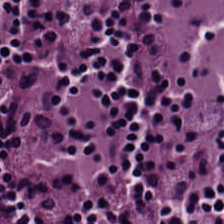Showing lymphocytic infiltrate.
